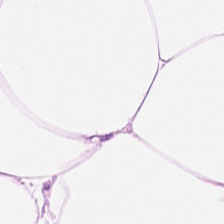0.5 microns per pixel · H&E-stained tissue section. Impression — adipose tissue.
